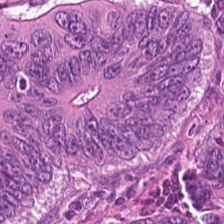Stain: H&E-stained tissue section.
Tissue: malignant epithelium.
